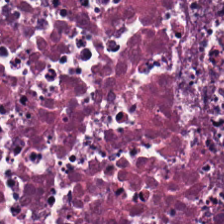0.5 µm per pixel; H&E-stained tissue section; 224×224 pixel tile. Showing debris.
